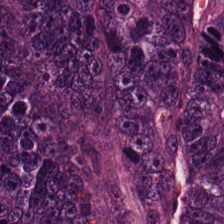20× equivalent magnification · 224×224 px patch · H&E — Showing colorectal adenocarcinoma epithelium.
